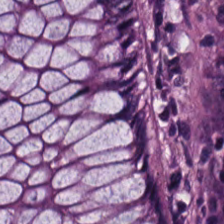Stain: H&E.
Tissue: normal colonic mucosa.
